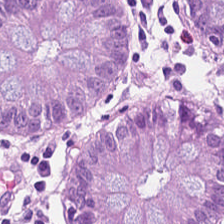Stain: H&E stain.
Tissue type: normal colon mucosa.
